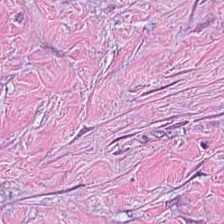H&E-stained tissue section showing tumor stroma.
